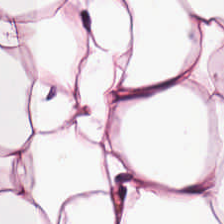Stain: hematoxylin and eosin.
Predominant tissue: adipocytes.
